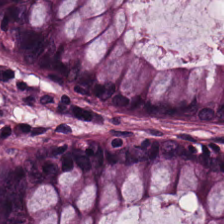Showing benign colonic mucosa.
